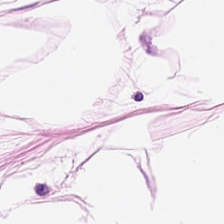H&E; 0.5 µm per pixel. Predominantly fat tissue.
